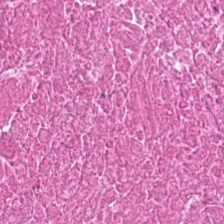Tissue class = debris.
